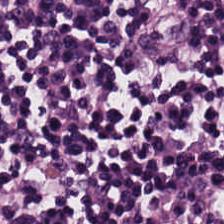224×224 pixel tile; brightfield microscopy; H&E.
Predominantly lymphocytic infiltrate.
